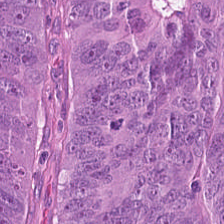Histology — colorectal adenocarcinoma epithelium.
